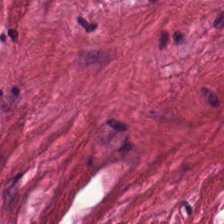Hematoxylin-and-eosin stained section · 20× equivalent magnification · FFPE tissue section — Tumor stroma.
